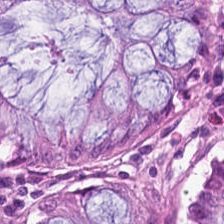Impression → non-neoplastic colon mucosa.
